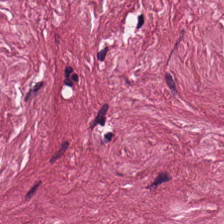Hematoxylin and eosin.
This patch shows cancer-associated stroma.
